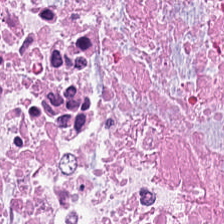Q: What type of tissue is this?
A: It is cellular debris.
